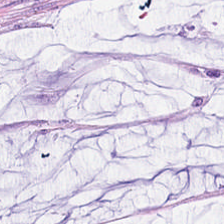The classification is mucus.
